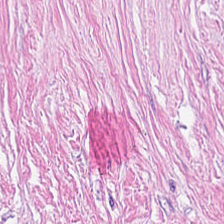H&E-stained tissue section — Q: What is the predominant tissue type?
A: It is cancer-associated stroma.
